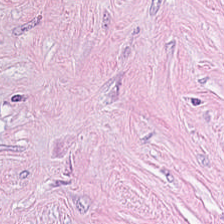H&E — The predominant tissue is tumor-associated stroma.
